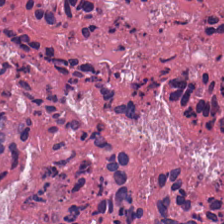Hematoxylin-and-eosin stained section; 224×224 pixel tile — Q: What is shown here?
A: The field shows debris.
